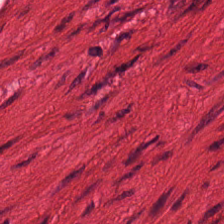FFPE tissue section. Hematoxylin and eosin. {"tissue_type": "smooth-muscle tissue"}
